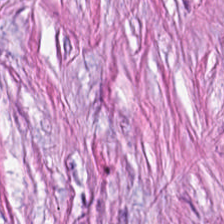Hematoxylin and eosin — Histology — tumor-associated stroma.
